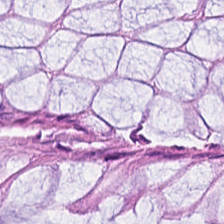Hematoxylin and eosin; 0.5 µm/px.
Predominantly normal colonic mucosa.
